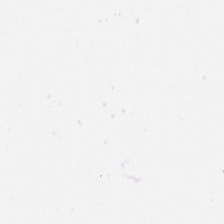H&E stain.
No tissue present; background only.
